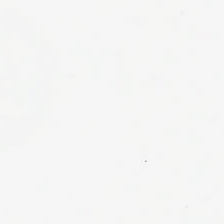H&E; FFPE tissue section.
{"content": "no tissue"}
